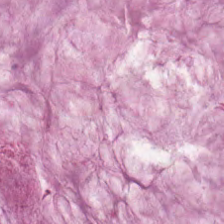H&E-stained tissue section · FFPE tissue section · brightfield microscopy — This field is mucin.
